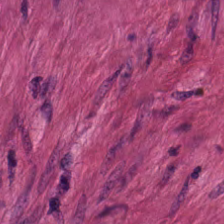H&E-stained tissue section. Histology — smooth muscle.
